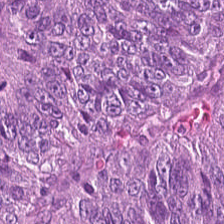H&E-stained tissue section showing tumor epithelium.
